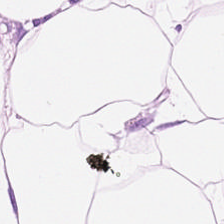H&E-stained tissue section · 224×224 px patch · formalin-fixed paraffin-embedded section. This patch shows adipose.
